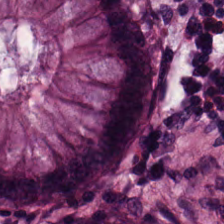Classification: normal colon mucosa.
